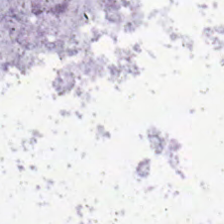Hematoxylin-and-eosin stained section — Background — no tissue in this field.
